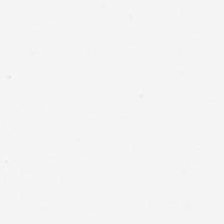Hematoxylin-and-eosin stained section — Background (no tissue).
